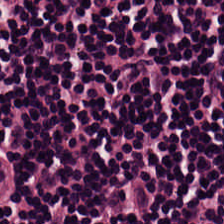Hematoxylin-and-eosin stained section. The tissue here is lymphocytes.
